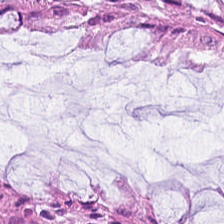H&E — The tissue class is non-neoplastic colon mucosa.
